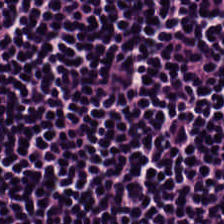Hematoxylin-and-eosin stained section — {"tissue_type": "lymphocyte aggregate"}
